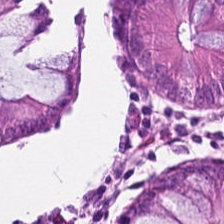Histology — non-neoplastic colon mucosa.
